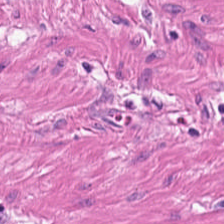Hematoxylin-and-eosin stained section.
Tissue = smooth muscle.
